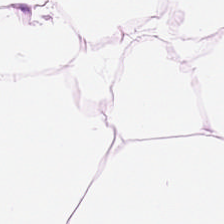H&E stain.
Q: What is the predominant tissue type?
A: The field shows adipocytes.
